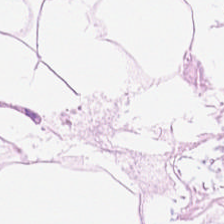Tissue class = adipose.
